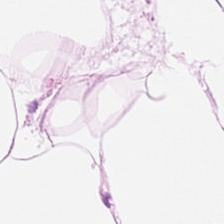WSI patch; FFPE tissue section; H&E. Showing adipose.
